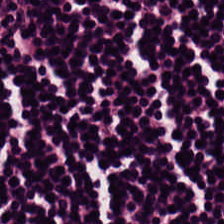Brightfield microscopy · 224×224 px tile · H&E stain — The tissue class is lymphoid infiltrate.
